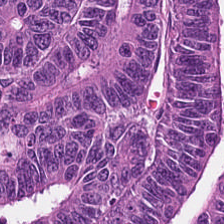Stain: H&E-stained tissue section.
Tissue type: tumor epithelium.
